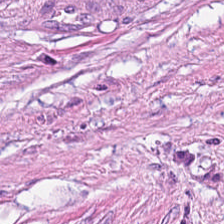Q: What is shown here?
A: Cancer-associated stroma.
